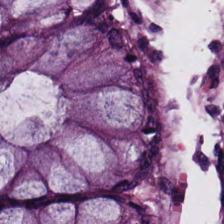H&E-stained tissue section — Impression → non-neoplastic colon mucosa.
